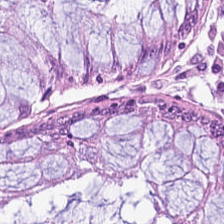H&E. Q: What is shown in this field?
A: Normal colonic mucosa.
